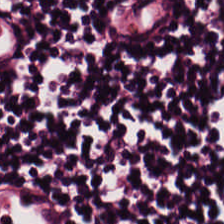FFPE tissue section · hematoxylin and eosin · 0.5 µm per pixel.
Predominantly lymphocytes.
